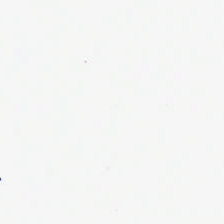H&E-stained tissue section. WSI patch. 0.5 µm per pixel — Empty field — no tissue.
